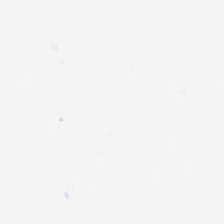224×224 px patch; H&E stain.
Content = no tissue.
